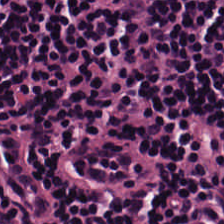Whole-slide-image patch · hematoxylin and eosin.
The tissue here is lymphocytes.
